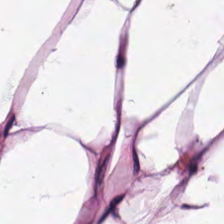Showing adipocytes.
